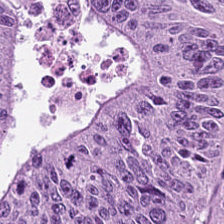Hematoxylin-and-eosin stained section; brightfield; 0.5 µm per pixel. Q: What is shown in this field?
A: It is colorectal adenocarcinoma epithelium.
